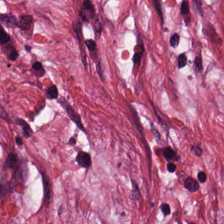Hematoxylin-and-eosin stained section; WSI patch — {"tissue_type": "tumor-associated stroma"}
